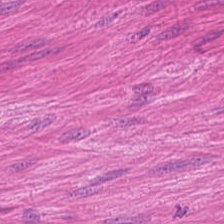Tissue — muscularis.
